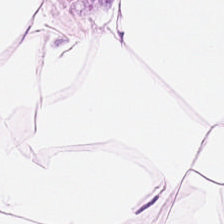Finding → adipocytes.
